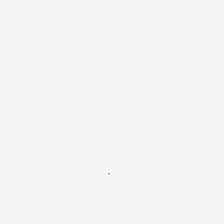H&E stain. {"content": "no tissue"}
